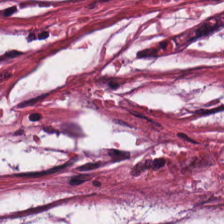Stain: hematoxylin and eosin.
Predominant tissue: desmoplastic stroma.
